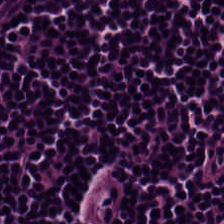Formalin-fixed paraffin-embedded section; hematoxylin and eosin. Q: What tissue type is shown here?
A: Lymphocytes.
